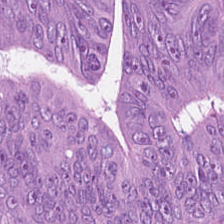H&E stain. Q: What is shown in this field?
A: This is colorectal adenocarcinoma epithelium.
